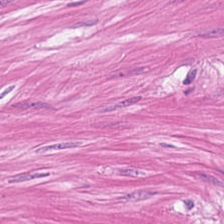FFPE tissue section · hematoxylin-and-eosin stained section — Tissue — muscularis.
